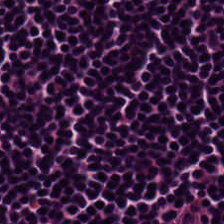Showing lymphocytes.
